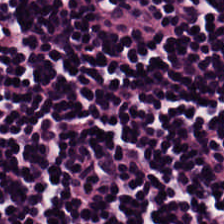Hematoxylin and eosin. Q: What is the predominant tissue type?
A: Lymphoid infiltrate.
